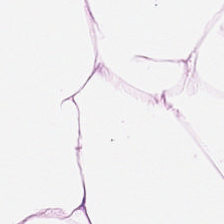224×224 pixel tile; formalin-fixed paraffin-embedded section; H&E-stained tissue section — {"tissue_type": "fat tissue"}
